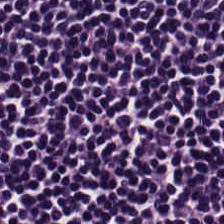H&E patch showing lymphocytes.
